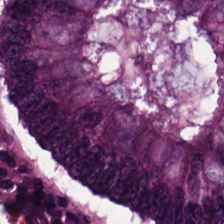WSI patch; hematoxylin-and-eosin stained section.
{"tissue_type": "colorectal adenocarcinoma"}
